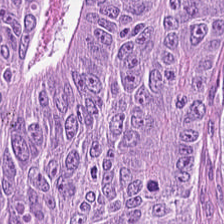H&E-stained tissue section showing colorectal adenocarcinoma.
